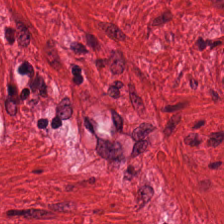Histology — muscularis.
